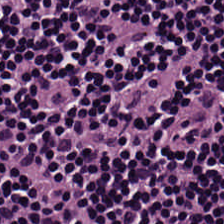Hematoxylin-and-eosin section: lymphocyte aggregate.
